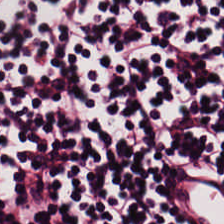Impression → lymphocytic infiltrate.
